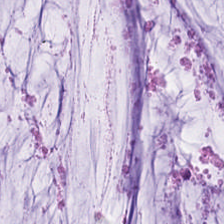Hematoxylin-and-eosin stained section. 224×224 pixel tile. Formalin-fixed paraffin-embedded section — Predominant tissue = mucin.
